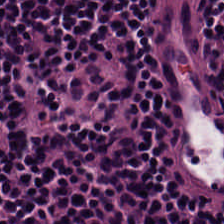Histology → lymphocytes.
